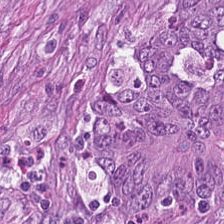Hematoxylin and eosin · 224×224 pixel tile. Tissue type = colorectal adenocarcinoma epithelium.
